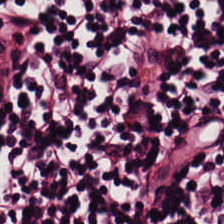Hematoxylin-and-eosin stained section. Tissue type: lymphocytic infiltrate.
